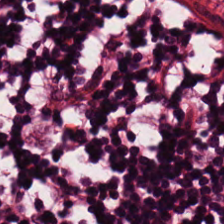0.5 µm per pixel · H&E stain — Q: What tissue is shown?
A: This is lymphocytic infiltrate.
